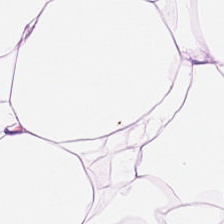Hematoxylin-and-eosin stained section.
Q: What is shown in this field?
A: The field shows fat tissue.
